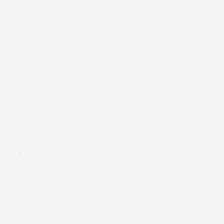Brightfield microscopy. H&E.
Histology — background (no tissue).
